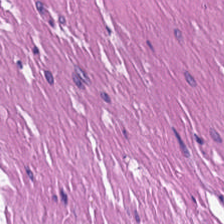Brightfield microscopy · 0.5 microns per pixel · hematoxylin-and-eosin stained section. Q: What is shown in this field?
A: This is smooth muscle.
